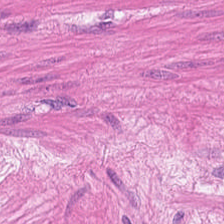WSI patch · H&E-stained tissue section. {"tissue_type": "smooth muscle"}
